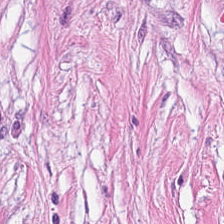0.5 µm per pixel · H&E-stained tissue section.
Tissue type — cancer-associated stroma.
